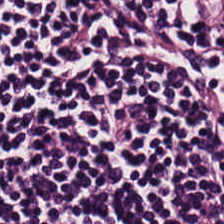Hematoxylin-and-eosin section: lymphoid infiltrate.
